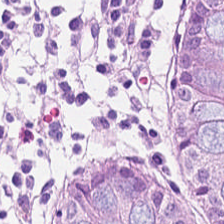Finding → benign colonic mucosa.
